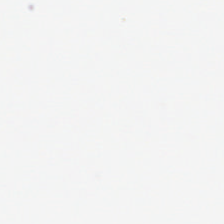Hematoxylin and eosin — Classification: no tissue.
